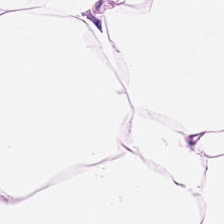H&E patch showing adipose.
